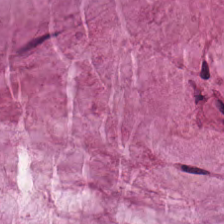Predominant tissue — extracellular mucin.
